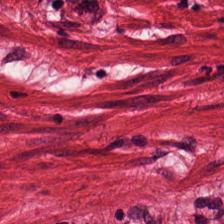H&E-stained tissue section — The tissue here is smooth muscle.
